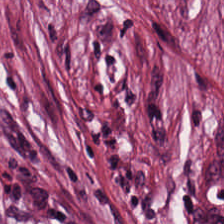The predominant tissue is cancer-associated stroma.
